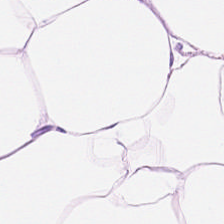Q: What is the predominant tissue type?
A: The field shows adipocytes.
